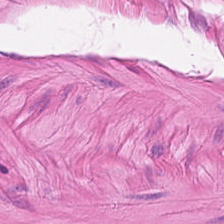Hematoxylin-and-eosin stained section. Histology — smooth-muscle tissue.
